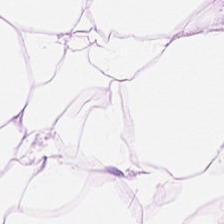FFPE · hematoxylin and eosin — Predominantly fat tissue.
